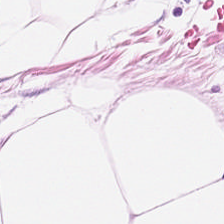H&E-stained tissue section. Brightfield. 224×224 px patch — Predominantly adipocytes.
